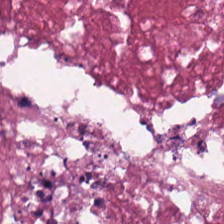H&E-stained tissue section.
Predominantly debris.
